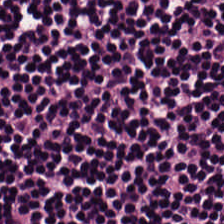H&E patch showing lymphocytes.
